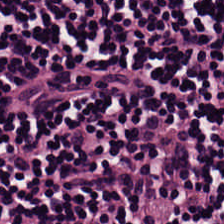Hematoxylin and eosin.
Predominant tissue: lymphocyte aggregate.
